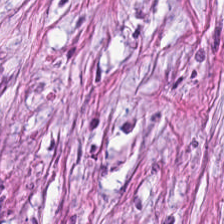Hematoxylin-and-eosin stained section. Classification = cancer-associated stroma.
